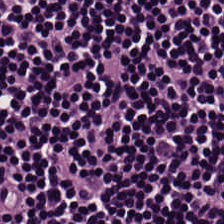Classification: lymphocytes.
